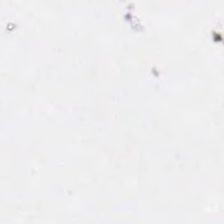Hematoxylin-and-eosin stained section. No tissue present; background only.
